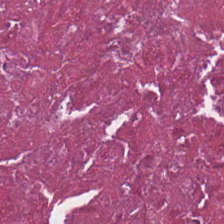Hematoxylin-and-eosin stained section; 224×224 pixel tile; 0.5 µm/px — The tissue here is debris.
